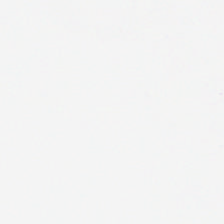H&E-stained tissue section · 0.5 µm per pixel.
Empty field — background.
